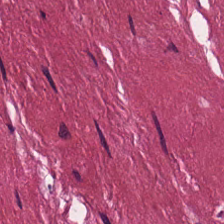Hematoxylin and eosin — Tissue: tumor stroma.
